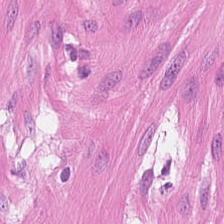Hematoxylin and eosin. 224×224 pixel tile. FFPE — Showing smooth-muscle tissue.
